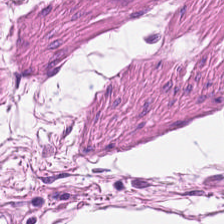Q: Identify the tissue.
A: The field shows muscularis.
